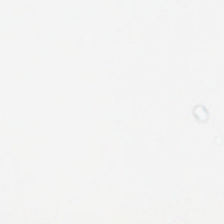H&E-stained tissue section. {"content": "background (no tissue)"}
